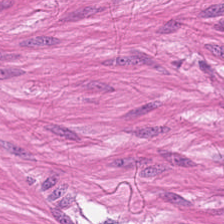Stain: hematoxylin-and-eosin stained section.
Tissue: smooth muscle.
